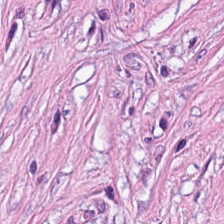H&E; FFPE — This patch shows desmoplastic stroma.
